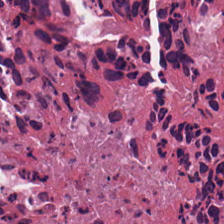WSI patch. H&E stain. Q: What tissue type is shown here?
A: It is debris.
